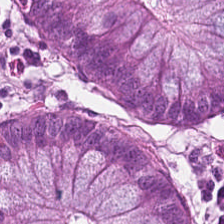Hematoxylin-and-eosin stained section.
Benign colonic mucosa.
